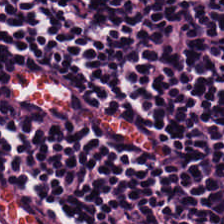H&E — Tissue type = lymphocyte aggregate.
